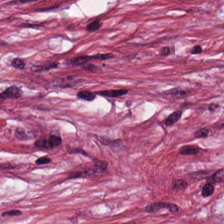Q: What is the predominant tissue type?
A: Tumor-associated stroma.
